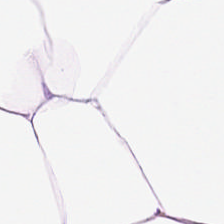Q: What tissue is shown?
A: Adipocytes.
